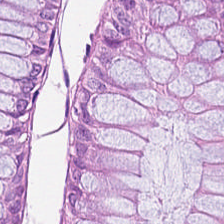Stain: H&E stain.
Tissue class: non-neoplastic colon mucosa.
